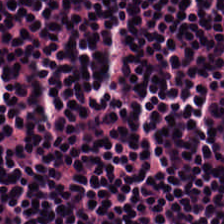Hematoxylin and eosin. Impression → lymphoid infiltrate.
